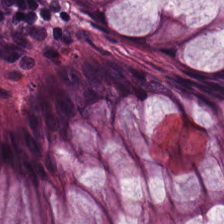0.5 microns per pixel. 224×224 pixel tile. H&E-stained tissue section.
This field is normal colonic mucosa.
